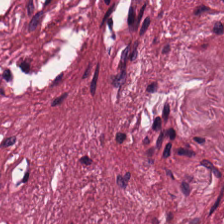H&E-stained tissue section · FFPE — Tissue type — tumor stroma.
